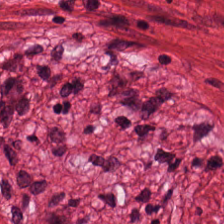H&E stain. The tissue is smooth-muscle tissue.
